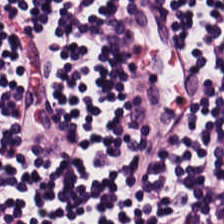H&E-stained tissue section showing lymphocyte aggregate.
